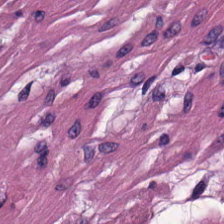Q: Identify the tissue.
A: This is smooth muscle.
